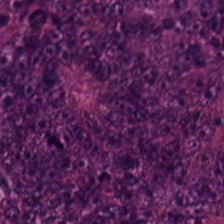H&E.
Showing colorectal adenocarcinoma epithelium.
